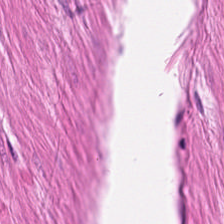H&E stain — This field is smooth muscle.
